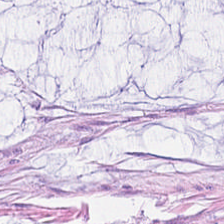Tissue class: extracellular mucin.
